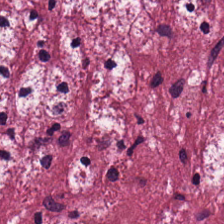WSI patch · 0.5 µm/px · H&E.
Predominant tissue: cancer-associated stroma.
